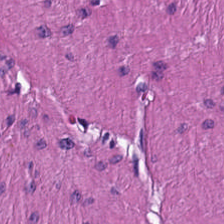H&E-stained tissue section — This field is smooth-muscle tissue.
